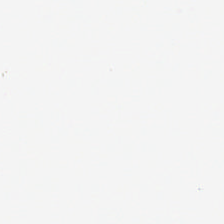H&E.
Q: Classify this patch.
A: The field shows background (no tissue).
